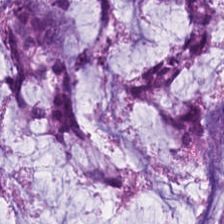H&E-stained tissue section. 20× equivalent magnification.
Showing extracellular mucin.
